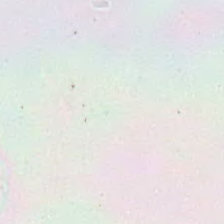Q: Classify this patch.
A: It is empty background.
